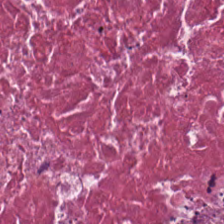H&E-stained tissue section. Showing debris.
